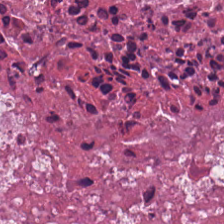{"tissue_type": "debris"}
